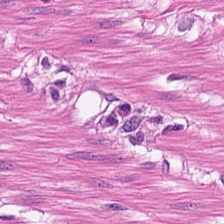0.5 µm per pixel · hematoxylin and eosin. Predominantly smooth-muscle tissue.
